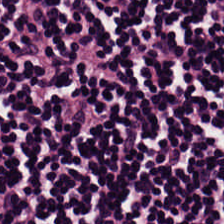Hematoxylin-and-eosin stained section — The tissue here is lymphocytic infiltrate.
